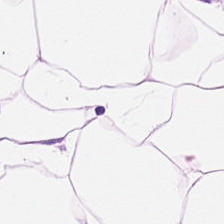20× equivalent magnification; H&E stain — The tissue here is adipocytes.
